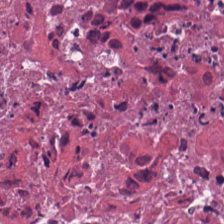Predominant tissue — necrotic debris.
